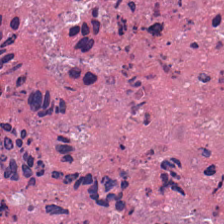H&E stain.
Tissue class: cellular debris.
